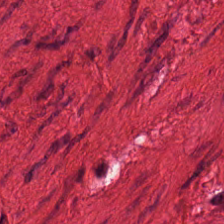Stain: H&E-stained tissue section.
Tissue class: smooth-muscle tissue.
